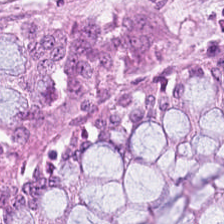20× equivalent magnification · H&E stain.
Classification: non-neoplastic colon mucosa.
